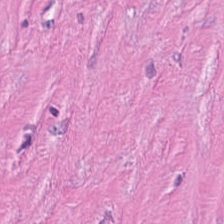H&E stain — Q: Classify this patch.
A: This is tumor-associated stroma.
